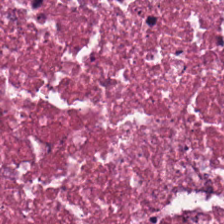Hematoxylin-and-eosin stained section · 0.5 µm/px. Q: What tissue type is shown here?
A: Debris.
